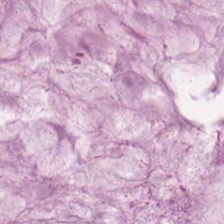Hematoxylin and eosin — Predominant tissue: mucus.
